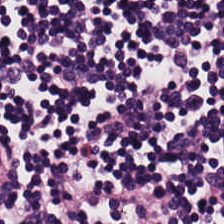H&E patch showing lymphoid infiltrate.
